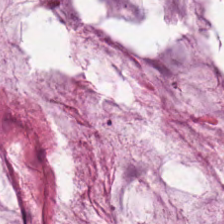H&E — {"tissue_type": "mucus"}
